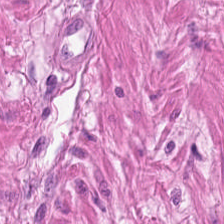Tissue class: smooth-muscle tissue.
